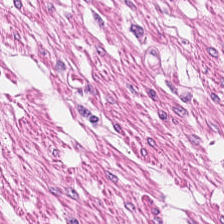H&E — Showing smooth-muscle tissue.
